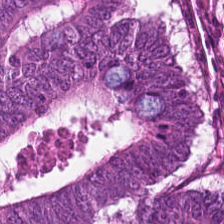Showing colorectal adenocarcinoma.
